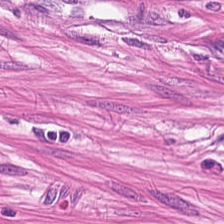H&E-stained tissue section. Impression — smooth-muscle tissue.
